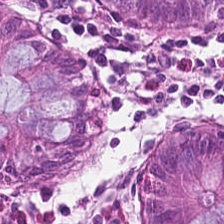Q: Identify the tissue.
A: It is normal colon mucosa.
